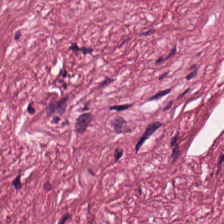H&E. FFPE. Brightfield microscopy — Predominantly tumor-associated stroma.
